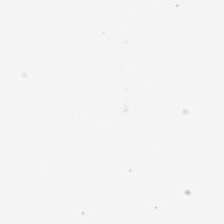Hematoxylin-and-eosin stained section. Q: What does this patch show?
A: The field shows background.
